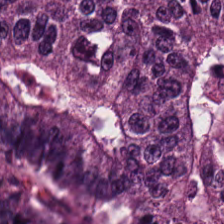Hematoxylin-and-eosin stained section.
{"tissue_type": "adenocarcinoma"}
